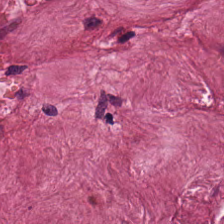Stain: H&E stain.
Tissue class: tumor stroma.
